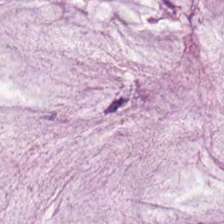Hematoxylin and eosin.
Tissue — mucus.
